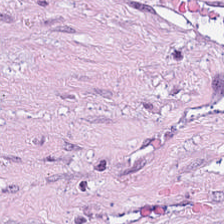0.5 µm per pixel. Hematoxylin-and-eosin stained section. Q: What is shown in this field?
A: It is tumor-associated stroma.
